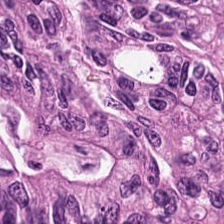WSI patch · H&E stain · FFPE — Impression — colorectal adenocarcinoma.
